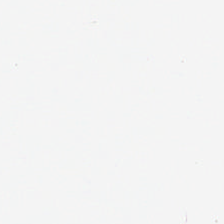Brightfield · 0.5 µm per pixel · H&E stain — Classification = no tissue.
